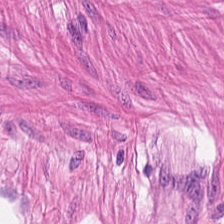H&E stain — Q: What tissue is shown?
A: This is smooth-muscle tissue.
